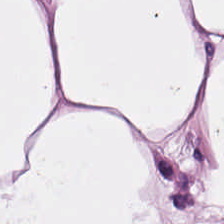H&E.
Showing adipose.
